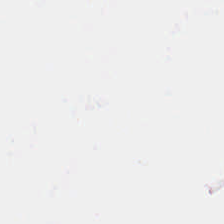Content — empty background.
